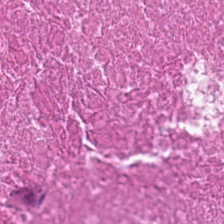H&E patch showing necrotic debris.
